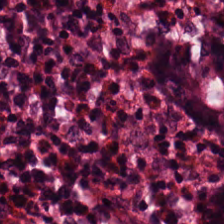H&E · 224×224 px patch. Finding → non-neoplastic colon mucosa.
